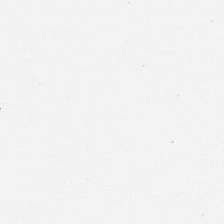20× equivalent magnification. Hematoxylin-and-eosin stained section. Background — no tissue in this field.
